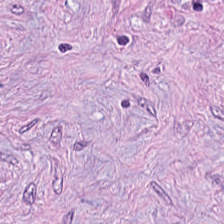FFPE tissue section · whole-slide-image patch · H&E-stained tissue section — This patch shows cancer-associated stroma.
